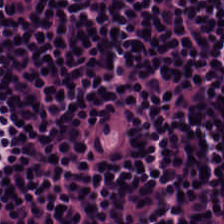The predominant tissue is lymphocytes.
